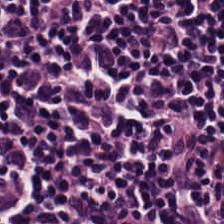The predominant tissue is lymphocytes.
